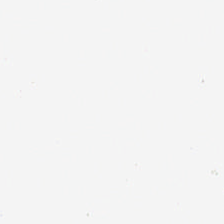Content = no tissue.
